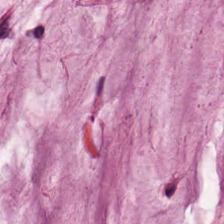H&E stain — Mucus.
